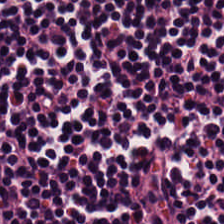H&E-stained tissue section · 0.5 µm per pixel · brightfield microscopy — Q: What tissue type is shown here?
A: It is lymphocytes.
